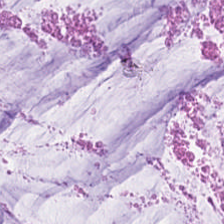Stain: H&E-stained tissue section.
Tissue type: mucin.
